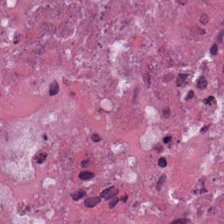Hematoxylin and eosin.
Finding → debris.
